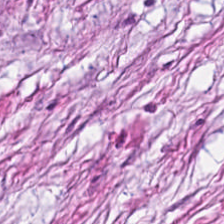Stain: hematoxylin and eosin.
Classification: tumor-associated stroma.
